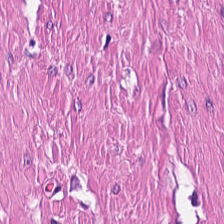Stain: hematoxylin-and-eosin stained section.
Tissue type: smooth muscle.
